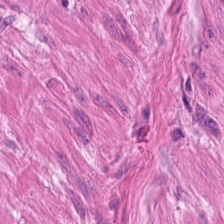H&E stain. Whole-slide-image patch. Finding — muscularis.
